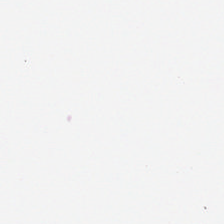Hematoxylin and eosin — Finding — no tissue.
